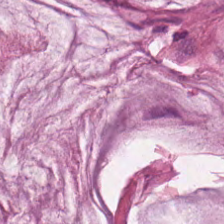0.5 µm/px · H&E · 224×224 pixel tile.
Showing mucus.
